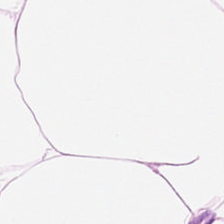WSI patch · H&E stain · FFPE.
Adipose.
